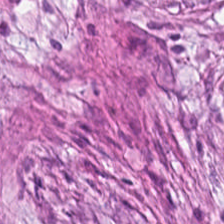Hematoxylin and eosin.
Predominant tissue = cancer-associated stroma.
